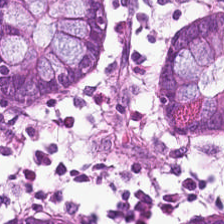The tissue type is non-neoplastic colon mucosa.
